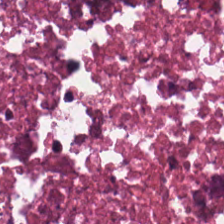H&E; 224×224 pixel tile. This patch shows necrotic debris.
